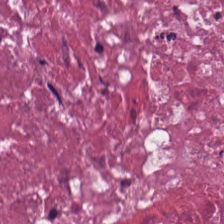H&E stain — Classification = necrotic debris.
